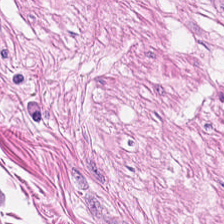Q: What tissue type is shown here?
A: This is smooth muscle.
